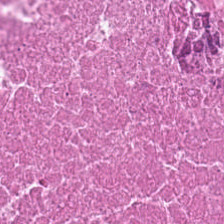Hematoxylin-and-eosin stained section — The tissue here is debris.
